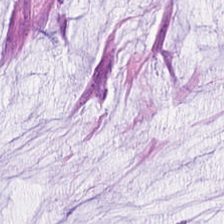Whole-slide-image patch. H&E stain.
Predominant tissue — extracellular mucin.
